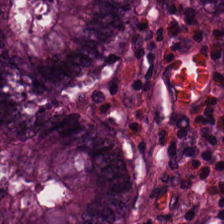Hematoxylin and eosin; FFPE. Finding — non-neoplastic colon mucosa.
